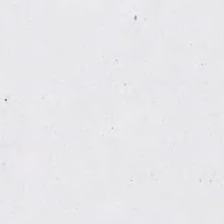H&E. Empty background.
